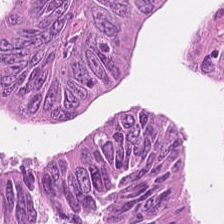Hematoxylin-and-eosin stained section · 20× equivalent magnification. Q: What tissue type is shown here?
A: It is colorectal adenocarcinoma.
